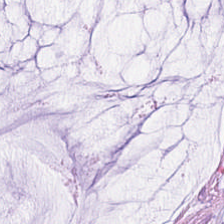Classification: extracellular mucin.
